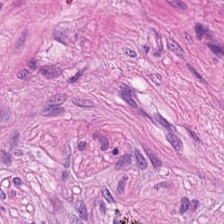Q: What type of tissue is this?
A: Smooth-muscle tissue.
